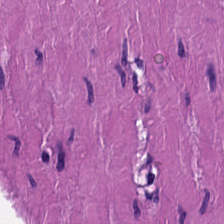H&E stain.
Q: What type of tissue is this?
A: This is smooth-muscle tissue.
